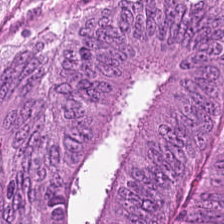H&E. Histology — adenocarcinoma.
